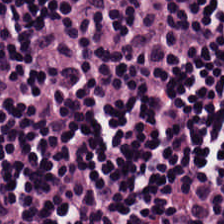H&E stain; 224×224 px patch.
This field is lymphocyte aggregate.
